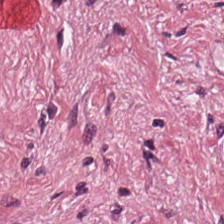H&E stain — The tissue type is desmoplastic stroma.
